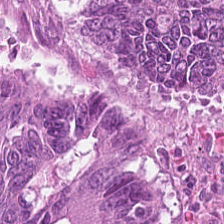Classification = colorectal adenocarcinoma.
